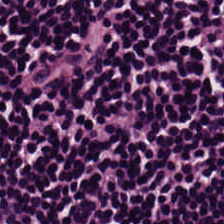H&E-stained tissue section — Predominant tissue = lymphocytic infiltrate.
